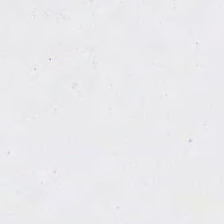H&E-stained tissue section — Q: What is shown in this field?
A: The field shows empty background.
